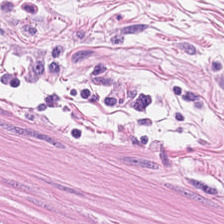Hematoxylin and eosin — The predominant tissue is smooth muscle.
